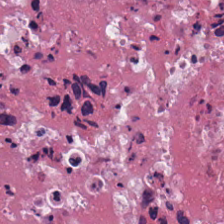224×224 pixel tile; FFPE; H&E-stained tissue section.
The predominant tissue is necrotic debris.
